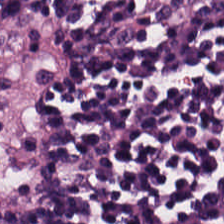Stain: hematoxylin and eosin.
Tissue class: lymphocytic infiltrate.
